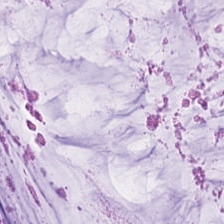H&E-stained tissue section · WSI patch. Impression — mucus.
